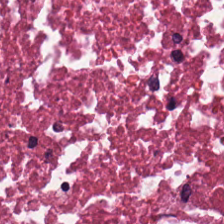Hematoxylin and eosin — Q: What tissue is shown?
A: It is cellular debris.
